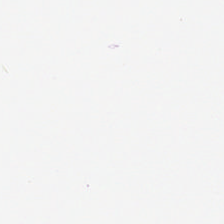224×224 pixel tile · hematoxylin and eosin — Q: What is shown here?
A: Empty background.
